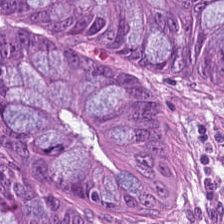224×224 pixel tile · hematoxylin-and-eosin stained section. The tissue here is malignant epithelium.
